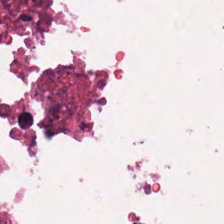H&E stain. FFPE — Q: What type of tissue is this?
A: It is necrotic debris.
